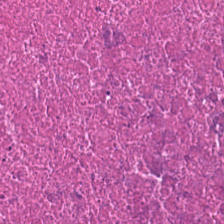{"tissue_type": "cellular debris"}
